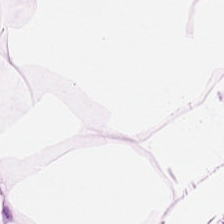Hematoxylin-and-eosin stained section — Showing adipose tissue.
